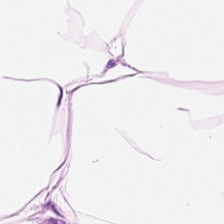This field is adipose tissue.
